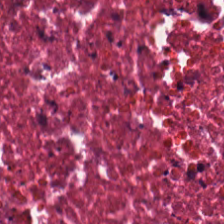Cellular debris.
